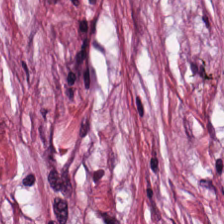Whole-slide-image patch. 224×224 px patch. H&E — {"tissue_type": "tumor-associated stroma"}
